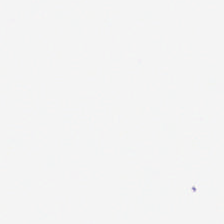Q: What does this patch show?
A: This is empty background.
